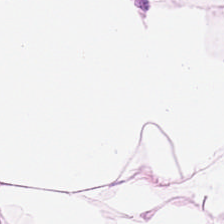224×224 px tile. H&E. Showing adipocytes.
